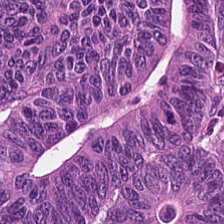Hematoxylin and eosin — The predominant tissue is malignant epithelium.
